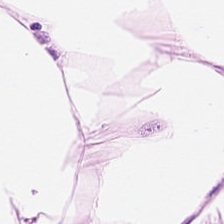Hematoxylin-and-eosin stained section — Adipose.
